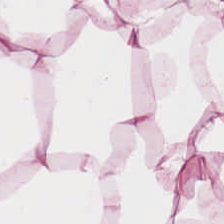Stain: hematoxylin-and-eosin stained section.
Tissue: adipocytes.
